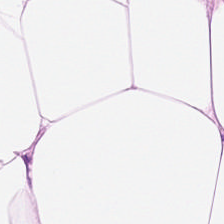Stain: hematoxylin-and-eosin stained section.
Tissue class: fat tissue.
